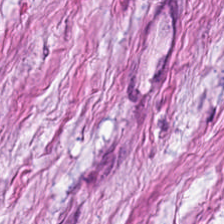H&E-stained tissue section; 224×224 px patch — Q: What does this patch show?
A: This is tumor-associated stroma.
